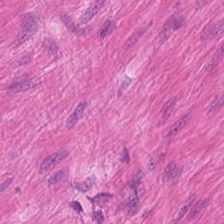H&E stain.
Histology — smooth-muscle tissue.
